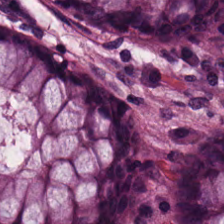WSI patch. H&E.
Tissue — normal colon mucosa.
